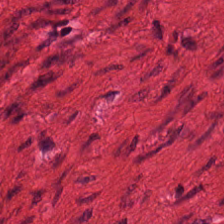Hematoxylin and eosin — {"tissue_type": "smooth muscle"}
